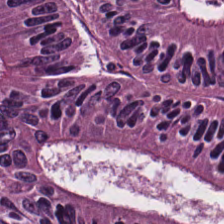H&E stain — Q: What is shown in this field?
A: Malignant epithelium.
